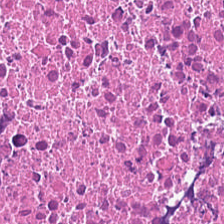The predominant tissue is cellular debris.
